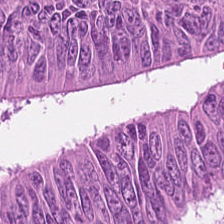H&E-stained tissue section — Tissue class: colorectal adenocarcinoma.
